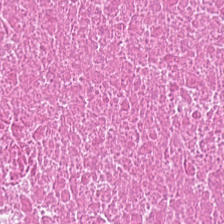Stain: hematoxylin and eosin.
Resolution: 0.5 µm/px.
Tissue class: necrotic debris.
